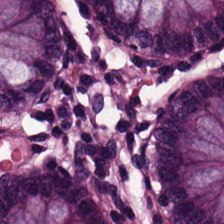Hematoxylin and eosin — The tissue is non-neoplastic colon mucosa.
